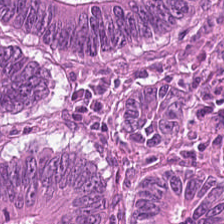Hematoxylin-and-eosin stained section; 224×224 px patch; 0.5 microns per pixel. Classification = colorectal adenocarcinoma.
